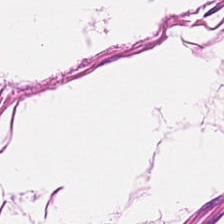This field is smooth-muscle tissue.
